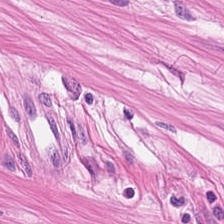Stain: H&E-stained tissue section.
Acquisition: brightfield.
Tissue: smooth-muscle tissue.
